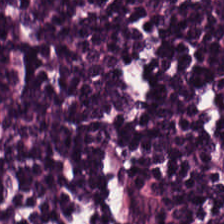H&E stain; brightfield microscopy — Showing lymphocyte aggregate.
